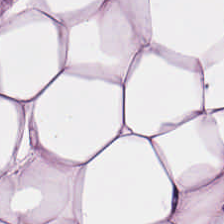Brightfield microscopy · hematoxylin-and-eosin stained section — Showing adipose tissue.
